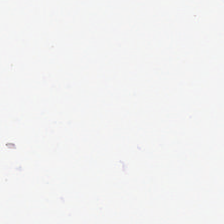224×224 pixel tile. H&E stain. WSI patch.
This patch shows no tissue.
